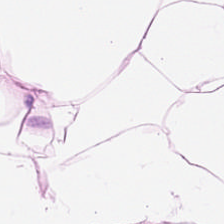Tissue type — adipose.
